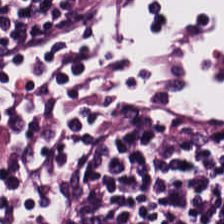Q: What does this patch show?
A: This is lymphocytes.
